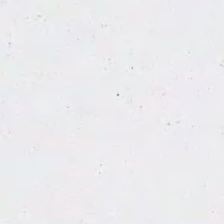Hematoxylin and eosin — Impression — empty background.
